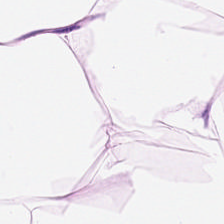H&E-stained tissue section. 0.5 microns per pixel. {"tissue_type": "adipocytes"}
